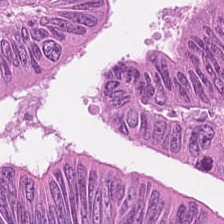H&E. The predominant tissue is colorectal adenocarcinoma.
